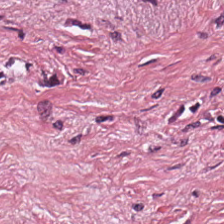0.5 microns per pixel. H&E-stained tissue section — Q: What tissue is shown?
A: It is desmoplastic stroma.
